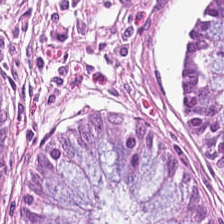Formalin-fixed paraffin-embedded section; H&E; brightfield. The tissue here is benign colonic mucosa.
